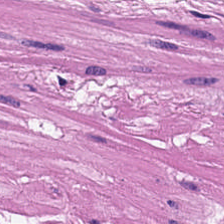Hematoxylin-and-eosin stained section · brightfield.
Q: What tissue type is shown here?
A: It is muscularis.
